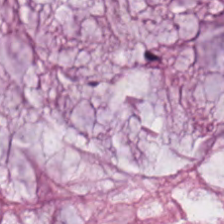H&E patch showing mucin.
